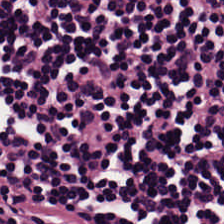H&E stain.
Predominantly lymphocytes.
